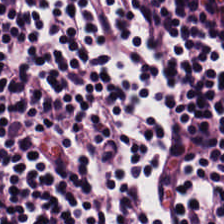Stain: H&E stain.
Predominant tissue: lymphoid infiltrate.
